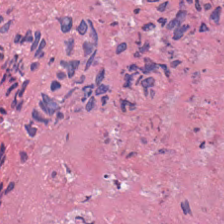Brightfield · hematoxylin-and-eosin stained section · formalin-fixed paraffin-embedded section — Predominantly debris.
